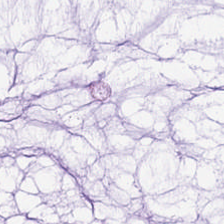H&E-stained tissue section. Finding → extracellular mucin.
